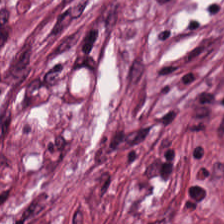Hematoxylin and eosin. This field is tumor-associated stroma.
